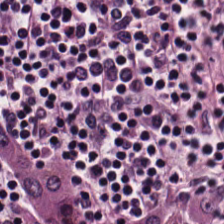H&E-stained tissue section.
Q: What is the predominant tissue type?
A: This is lymphocytes.
